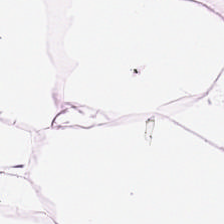This patch shows fat tissue.
